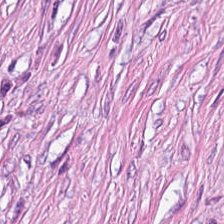Tissue class — desmoplastic stroma.
